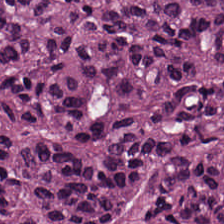H&E stain. Q: What is the predominant tissue type?
A: The field shows colorectal adenocarcinoma.
